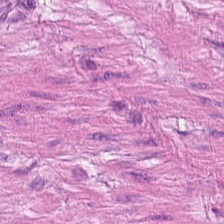224×224 pixel tile. FFPE. Hematoxylin-and-eosin stained section. Tissue type = muscularis.
